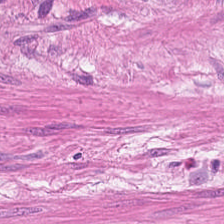Tissue: smooth-muscle tissue.
